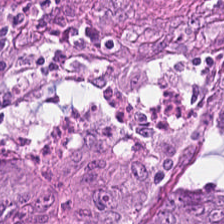FFPE. H&E. Q: Classify this patch.
A: The field shows colorectal adenocarcinoma.
